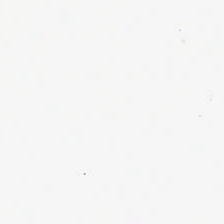Stain: H&E.
Resolution: 0.5 microns per pixel.
Field content: background (no tissue).
